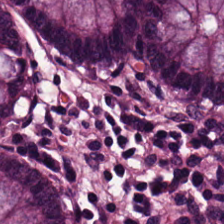H&E · formalin-fixed paraffin-embedded section — The classification is normal colon mucosa.
